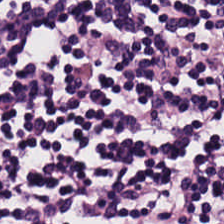20× equivalent magnification · H&E stain. Predominantly lymphocytes.
